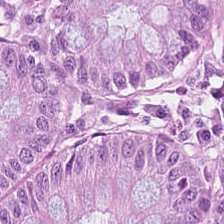H&E.
Non-neoplastic colon mucosa.
